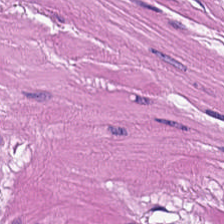H&E stain.
Tissue — smooth muscle.
